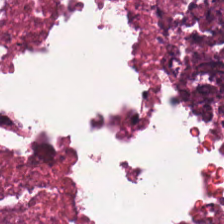224×224 pixel tile · hematoxylin-and-eosin stained section · 0.5 microns per pixel. The tissue here is necrotic debris.
